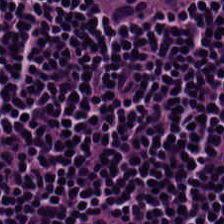Q: Classify this patch.
A: Lymphocytic infiltrate.
